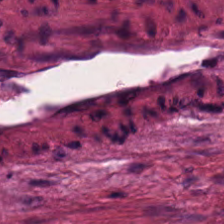Q: Identify the tissue.
A: The field shows tumor stroma.
